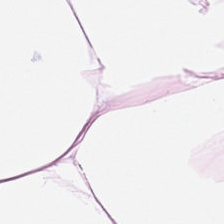Hematoxylin and eosin; FFPE tissue section.
Predominantly adipose tissue.
